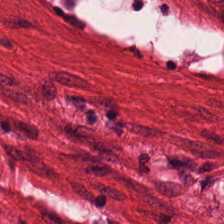Q: What tissue is shown?
A: This is smooth-muscle tissue.
